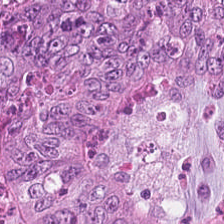20× equivalent magnification; H&E-stained tissue section; brightfield microscopy — Finding — colorectal adenocarcinoma.
